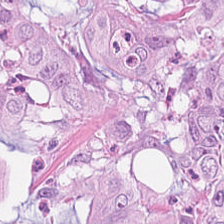Histology — colorectal adenocarcinoma.
